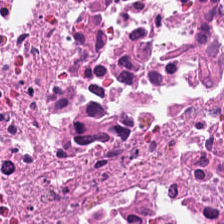Q: What is shown here?
A: The field shows cellular debris.
